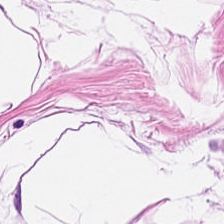Hematoxylin and eosin — Fat tissue.
